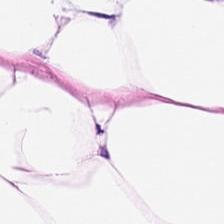H&E-stained tissue section. Fat tissue.
